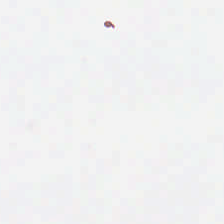224×224 px patch; H&E-stained tissue section.
This field is background (no tissue).
